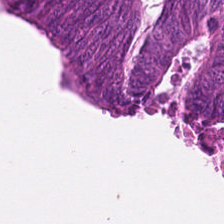H&E — malignant epithelium.
